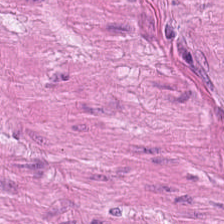H&E-stained tissue section; 224×224 px tile.
Predominant tissue — muscularis.
